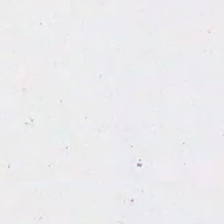H&E-stained tissue section.
Impression → background.
